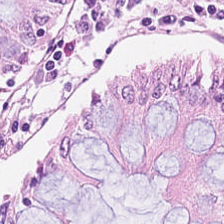Brightfield; 0.5 µm/px; hematoxylin and eosin. Predominant tissue = normal colonic mucosa.
